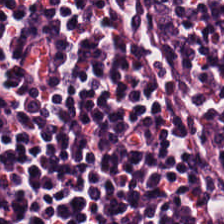0.5 µm/px. H&E. 224×224 pixel tile — Tissue type — lymphoid infiltrate.
